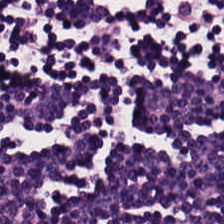Hematoxylin and eosin — Q: Identify the tissue.
A: It is lymphoid infiltrate.
